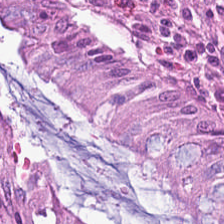Hematoxylin and eosin.
The tissue here is normal colon mucosa.
